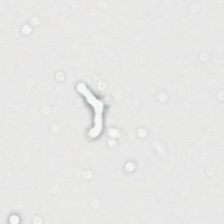224×224 px tile; H&E stain.
The classification is no tissue.
